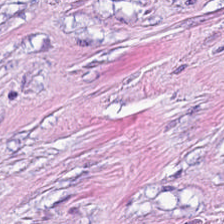H&E-stained tissue section · FFPE.
The predominant tissue is tumor-associated stroma.
